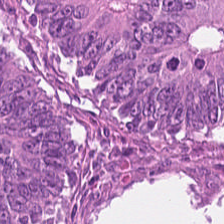Impression → malignant epithelium.
